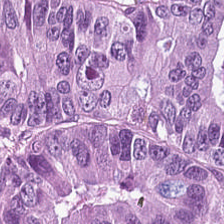Brightfield. H&E stain. 224×224 pixel tile — The tissue is adenocarcinoma.
